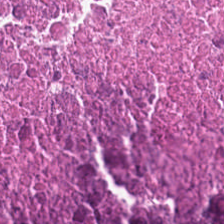Q: What tissue type is shown here?
A: It is debris.
